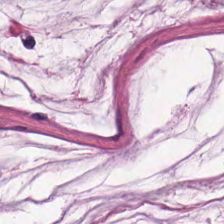224×224 px patch · H&E · brightfield — {"tissue_type": "mucus"}
